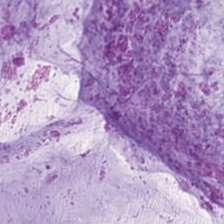H&E-stained tissue section. {"tissue_type": "mucus"}
